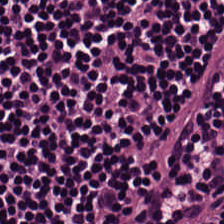Hematoxylin and eosin; FFPE.
Lymphoid infiltrate.
